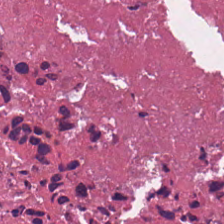Finding — cellular debris.
